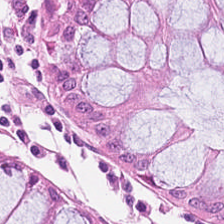H&E — Q: Classify this patch.
A: This is normal colonic mucosa.
